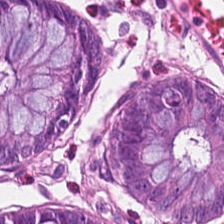H&E-stained section; the field shows normal colon mucosa.
